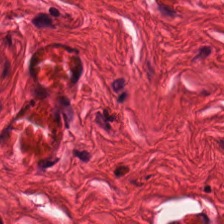This field is muscularis.
